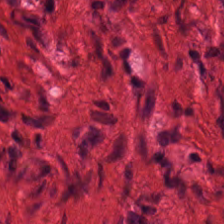H&E-stained tissue section · brightfield microscopy — Impression → muscularis.
